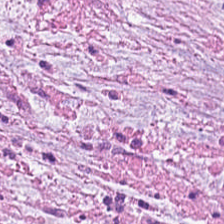H&E stain. 224×224 px tile. Formalin-fixed paraffin-embedded section. Q: What tissue type is shown here?
A: The field shows desmoplastic stroma.
